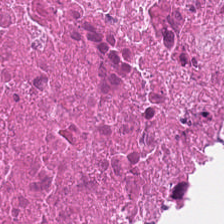Stain: H&E-stained tissue section.
Tile size: 224×224 px tile.
Predominant tissue: necrotic debris.
